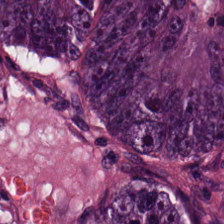Hematoxylin and eosin. 0.5 microns per pixel. 224×224 pixel tile — The tissue here is colorectal adenocarcinoma.
